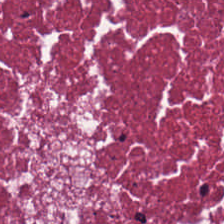Stain: H&E.
Resolution: 0.5 µm per pixel.
Tile size: 224×224 px tile.
Tissue: necrotic debris.
